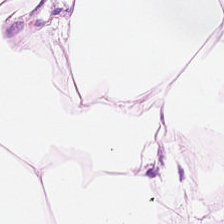Stain: H&E stain.
Tile size: 224×224 px patch.
Preparation: FFPE tissue section.
Predominant tissue: adipose.
